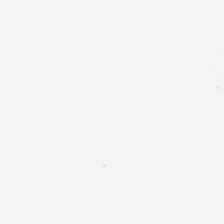H&E.
Impression — background (no tissue).
